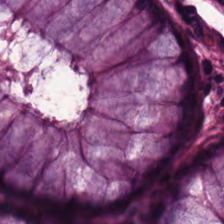Hematoxylin and eosin. Q: Identify the tissue.
A: It is benign colonic mucosa.
